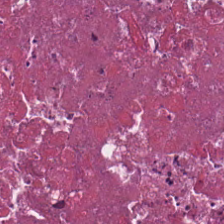20× equivalent magnification; H&E. Impression — debris.
